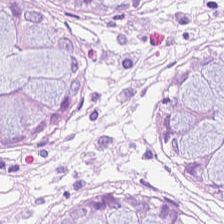H&E.
Q: Identify the tissue.
A: This is normal colon mucosa.
